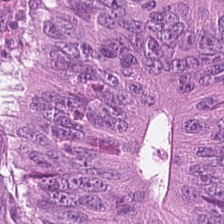{"tissue_type": "colorectal adenocarcinoma epithelium"}
